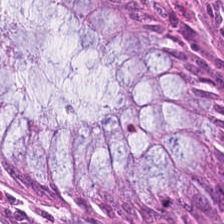H&E stain — Tissue type: non-neoplastic colon mucosa.
